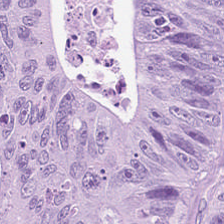H&E — This patch shows malignant epithelium.
